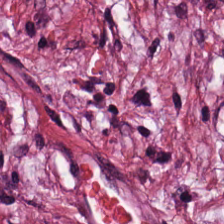Hematoxylin and eosin. Tissue class — tumor stroma.
